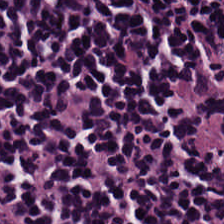Lymphocytic infiltrate.
